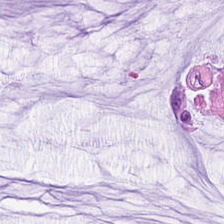Hematoxylin-and-eosin stained section. {"tissue_type": "extracellular mucin"}
